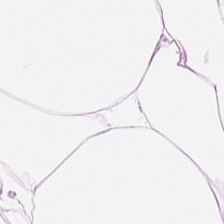FFPE; H&E stain. Histology — fat tissue.
